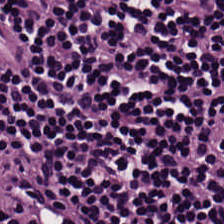Stain: hematoxylin-and-eosin stained section.
Tissue class: lymphocytic infiltrate.
